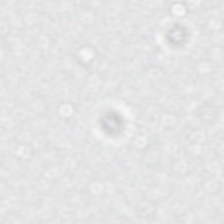FFPE · hematoxylin-and-eosin stained section. Q: Classify this patch.
A: This is background (no tissue).
